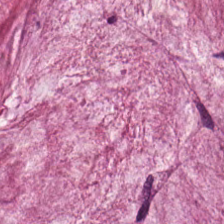Stain: H&E-stained tissue section.
Classification: mucus.
